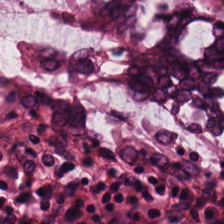H&E stain.
The predominant tissue is benign colonic mucosa.
